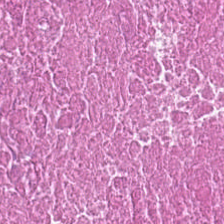H&E-stained tissue section; 0.5 µm/px; 224×224 px tile — Tissue = necrotic debris.
